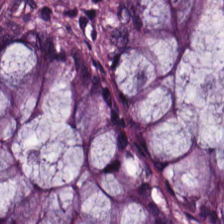H&E · 224×224 px tile — Impression → normal colon mucosa.
